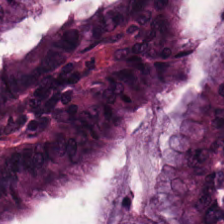H&E-stained tissue section; whole-slide-image patch.
This field is malignant epithelium.
